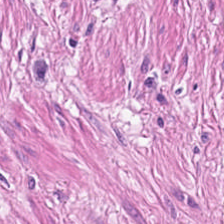Hematoxylin-and-eosin section: muscularis.
